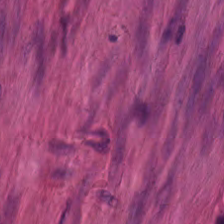Hematoxylin and eosin.
The tissue here is muscularis.
